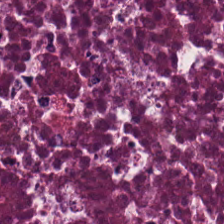0.5 microns per pixel; H&E stain — Debris.
